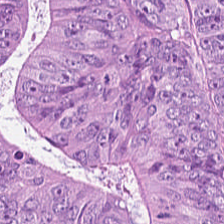H&E. This field is tumor epithelium.
